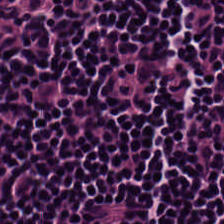Stain: H&E.
Tissue class: lymphocyte aggregate.
